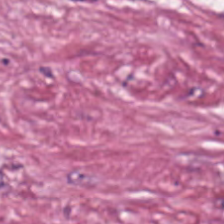Stain: H&E.
Tissue: tumor stroma.
